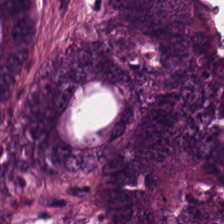WSI patch; H&E — The tissue here is adenocarcinoma.
